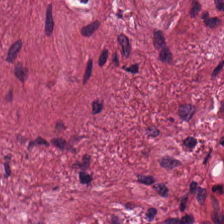Predominant tissue = tumor-associated stroma.
